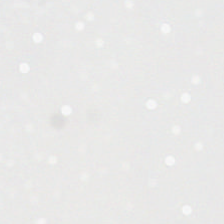H&E; brightfield microscopy — Q: Classify this patch.
A: This is background.
